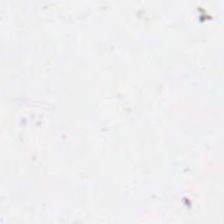Finding → empty background.
